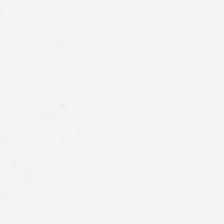Histology → no tissue.
